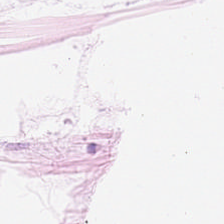H&E-stained tissue section.
Predominantly adipocytes.
